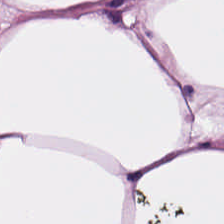0.5 µm/px. 224×224 pixel tile. H&E stain — Predominant tissue: fat tissue.
